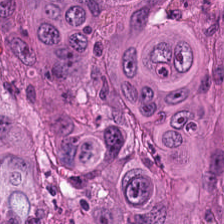Hematoxylin-and-eosin stained section; brightfield. Q: What does this patch show?
A: This is malignant epithelium.
